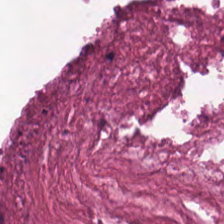H&E-stained tissue section. 20× equivalent magnification. Whole-slide-image patch — Q: What does this patch show?
A: It is debris.
